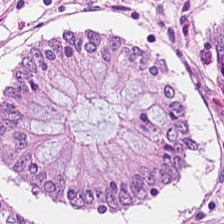Tissue class = benign colonic mucosa.
